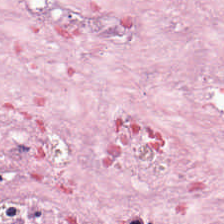H&E. This field is desmoplastic stroma.
